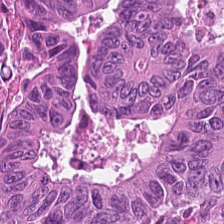H&E — Q: Identify the tissue.
A: This is adenocarcinoma.
